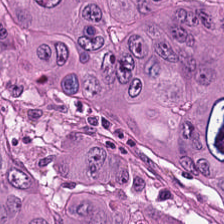H&E-stained tissue section; 0.5 µm per pixel. The predominant tissue is colorectal adenocarcinoma.
